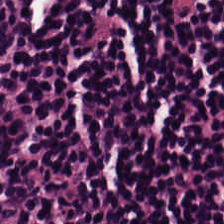H&E. Tissue — lymphocytic infiltrate.
